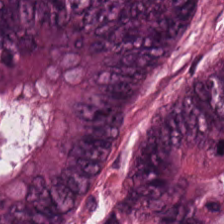0.5 microns per pixel; WSI patch; H&E-stained tissue section. Classification = mucus.
